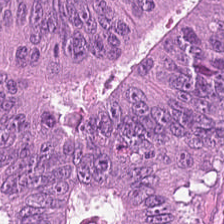Stain: hematoxylin-and-eosin stained section.
Tissue class: malignant epithelium.
